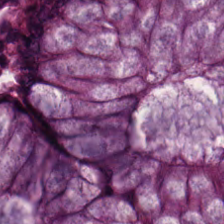H&E-stained tissue section. Q: Classify this patch.
A: It is normal colonic mucosa.
